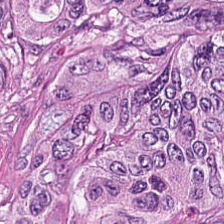H&E. FFPE.
This patch shows tumor epithelium.
